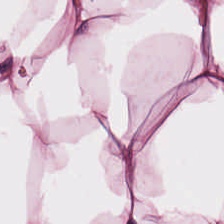0.5 µm/px. FFPE. H&E-stained tissue section.
Impression — adipose.
